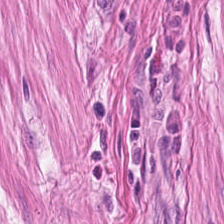H&E. {"tissue_type": "muscularis"}
